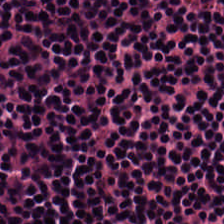Stain: H&E stain.
Tissue class: lymphoid infiltrate.
